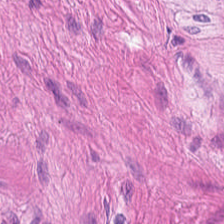H&E-stained tissue section; FFPE tissue section; 0.5 microns per pixel — Tissue type: muscularis.
